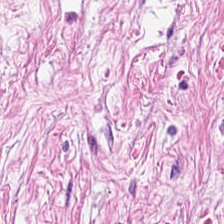H&E. {"tissue_type": "desmoplastic stroma"}
